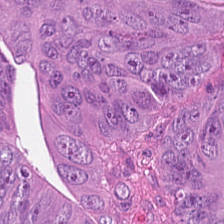Hematoxylin-and-eosin stained section.
Classification — malignant epithelium.
